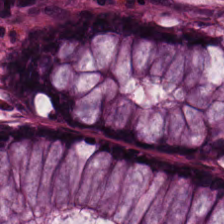H&E-stained tissue section.
Q: Identify the tissue.
A: The field shows normal colonic mucosa.
